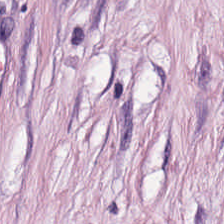Hematoxylin and eosin · 0.5 µm per pixel — This patch shows cancer-associated stroma.
